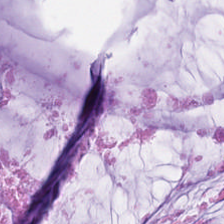Predominant tissue — mucus.
